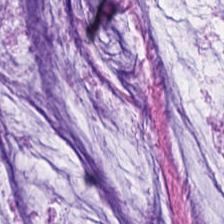Hematoxylin-and-eosin stained section. Q: What type of tissue is this?
A: This is mucus.
